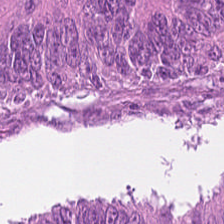Hematoxylin-and-eosin stained section; 224×224 pixel tile — This patch shows tumor epithelium.
